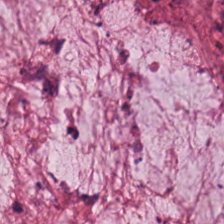Formalin-fixed paraffin-embedded section; 20× equivalent magnification; H&E.
{"tissue_type": "mucus"}
